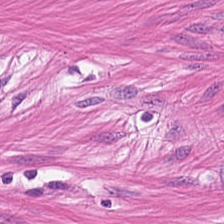{"tissue_type": "smooth muscle"}
